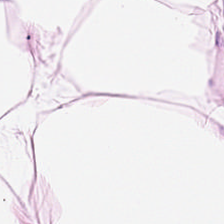Hematoxylin and eosin.
The tissue is adipocytes.
